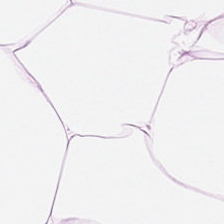Fat tissue.
